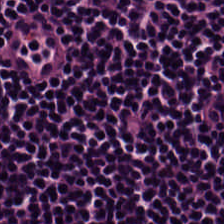Hematoxylin-and-eosin stained section — Tissue class = lymphocytic infiltrate.
